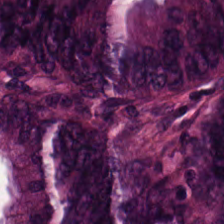Hematoxylin and eosin · FFPE.
Q: What tissue is shown?
A: The field shows adenocarcinoma.
